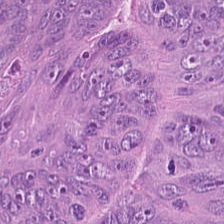Hematoxylin-and-eosin stained section. Classification: adenocarcinoma.
